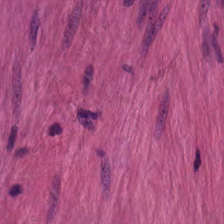H&E stain. Q: What is shown in this field?
A: It is smooth-muscle tissue.
